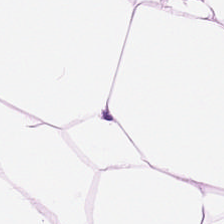The tissue class is fat tissue.
